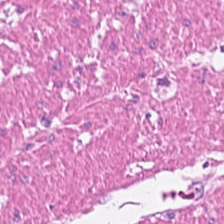Hematoxylin and eosin. FFPE. 0.5 microns per pixel.
Smooth muscle.
